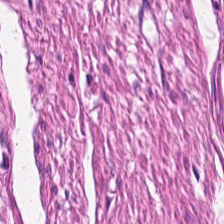H&E stain · 0.5 µm/px.
Q: What type of tissue is this?
A: This is muscularis.
